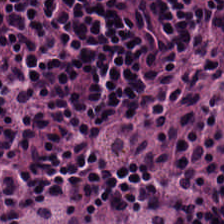Impression — lymphocytic infiltrate.
